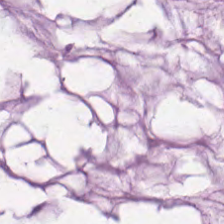Predominant tissue: extracellular mucin.
